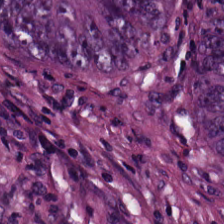224×224 px tile. Hematoxylin-and-eosin stained section. Formalin-fixed paraffin-embedded section.
Q: What is shown here?
A: This is colorectal adenocarcinoma epithelium.
